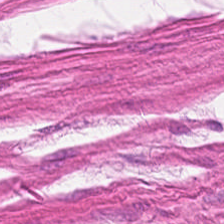H&E. Impression → muscularis.
